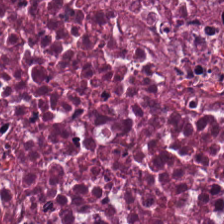H&E-stained tissue section.
Q: What tissue type is shown here?
A: It is necrotic debris.
